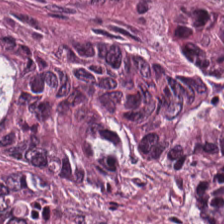H&E-stained tissue section · 224×224 px tile — Predominantly adenocarcinoma.
